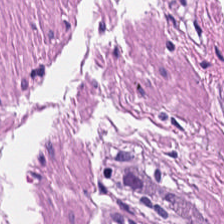Hematoxylin-and-eosin stained section — Tissue — smooth muscle.
